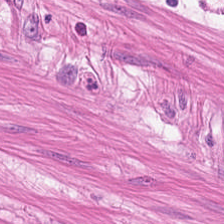The classification is muscularis.
